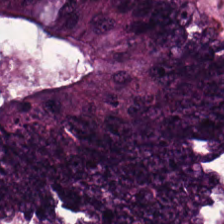H&E.
{"tissue_type": "colorectal adenocarcinoma epithelium"}
